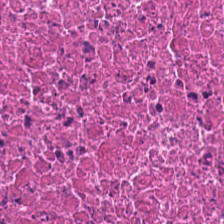Tissue type = necrotic debris.
